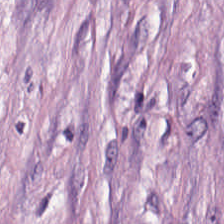Brightfield. H&E stain.
Histology — tumor-associated stroma.
